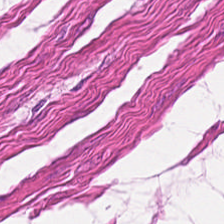H&E-stained tissue section — Impression → smooth-muscle tissue.
